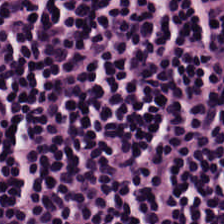0.5 microns per pixel. FFPE. Hematoxylin and eosin.
Showing lymphocyte aggregate.
